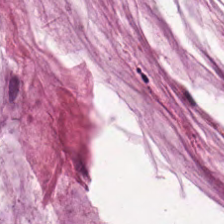FFPE. Hematoxylin-and-eosin stained section. 20× equivalent magnification — Impression — mucin.
